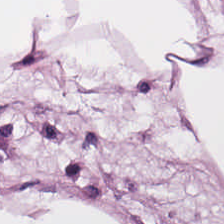Hematoxylin and eosin. Q: Classify this patch.
A: The field shows fat tissue.
